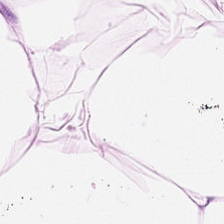H&E-stained tissue section — {"tissue_type": "adipose"}
